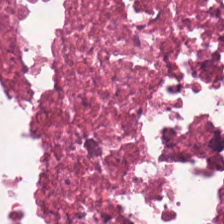Hematoxylin-and-eosin stained section — This patch shows cellular debris.
